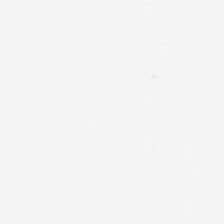Hematoxylin and eosin — This field is background (no tissue).
